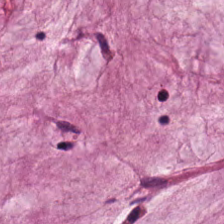FFPE tissue section · 224×224 pixel tile · H&E-stained tissue section. Classification — extracellular mucin.
